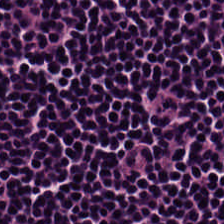Finding → lymphoid infiltrate.
